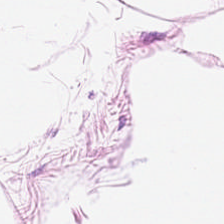Stain: H&E.
Tissue: adipose tissue.
